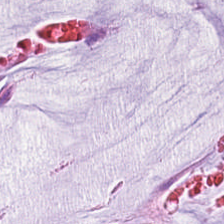Hematoxylin-and-eosin stained section — Tissue type = extracellular mucin.
